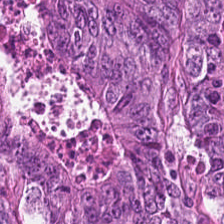H&E-stained section; the field shows malignant epithelium.
